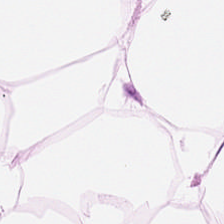H&E stain — This patch shows adipose tissue.
